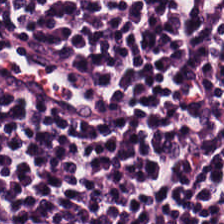Hematoxylin and eosin. Predominantly lymphoid infiltrate.
